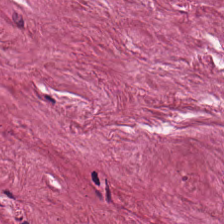The predominant tissue is tumor-associated stroma.
